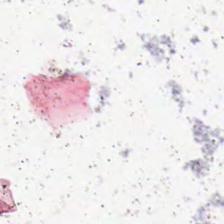Q: Classify this patch.
A: The field shows background (no tissue).
